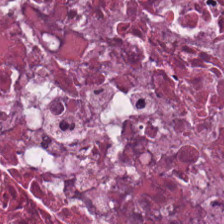Hematoxylin-and-eosin stained section — Cellular debris.
